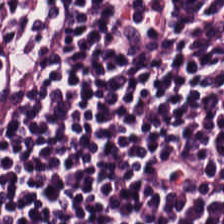0.5 µm/px. H&E-stained tissue section — This field is lymphocytes.
